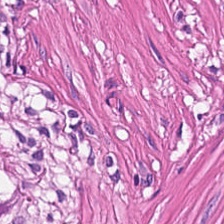Stain: hematoxylin-and-eosin stained section.
Tissue: muscularis.
